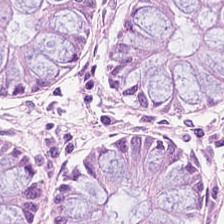Impression → normal colon mucosa.
